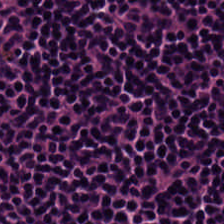H&E — Q: Identify the tissue.
A: The field shows lymphocytes.
